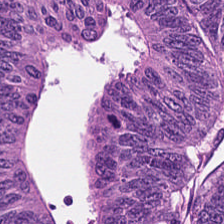Tumor epithelium.
